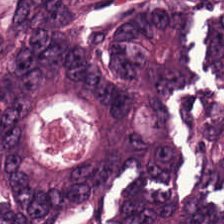H&E.
Malignant epithelium.
